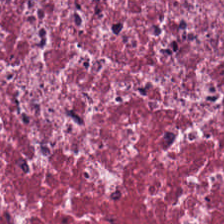Stain: H&E.
Tissue type: tumor stroma.
